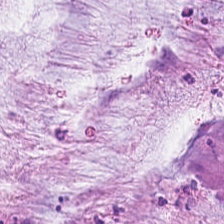Hematoxylin and eosin.
Predominantly mucin.
